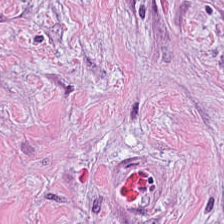Hematoxylin and eosin — Predominant tissue — desmoplastic stroma.
